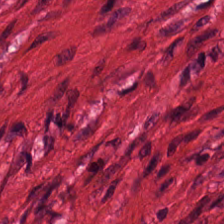Hematoxylin-and-eosin stained section; 224×224 pixel tile.
Histology → muscularis.
